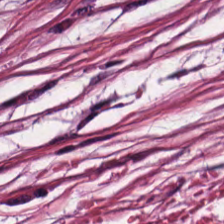224×224 px patch. H&E. The predominant tissue is tumor-associated stroma.
